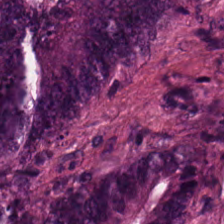Showing tumor epithelium.
